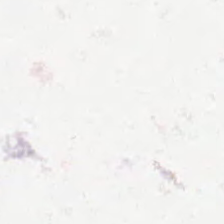Field content — background.
